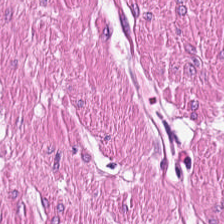Hematoxylin-and-eosin stained section.
The tissue here is smooth muscle.
